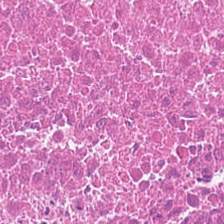Hematoxylin-and-eosin stained section. 224×224 pixel tile. The predominant tissue is necrotic debris.
